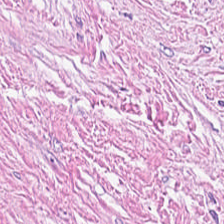Hematoxylin-and-eosin stained section — Q: What does this patch show?
A: This is tumor stroma.
